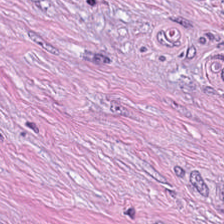Hematoxylin-and-eosin stained section. Impression → tumor stroma.
